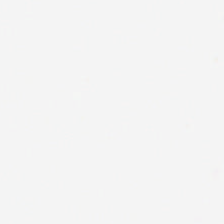H&E — Background — no tissue in this field.
